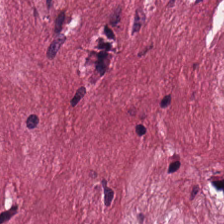WSI patch; hematoxylin and eosin — Showing desmoplastic stroma.
